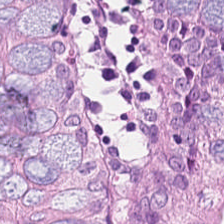Formalin-fixed paraffin-embedded section. H&E-stained tissue section.
Showing normal colonic mucosa.
